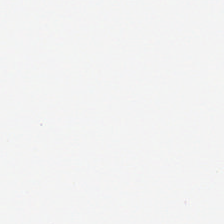0.5 microns per pixel · hematoxylin-and-eosin stained section · WSI patch — {"content": "no tissue"}
